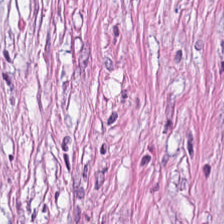FFPE tissue section. H&E — Finding — cancer-associated stroma.
